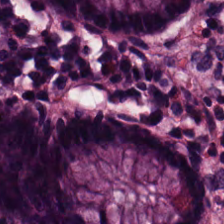20× equivalent magnification. Hematoxylin-and-eosin stained section — Q: Classify this patch.
A: Normal colonic mucosa.
